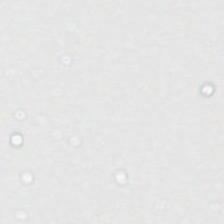Stain: H&E-stained tissue section.
Tile size: 224×224 px patch.
Preparation: formalin-fixed paraffin-embedded section.
Classification: background (no tissue).
